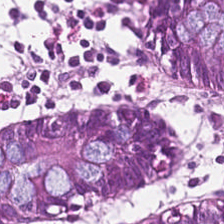H&E stain.
Predominant tissue: non-neoplastic colon mucosa.
